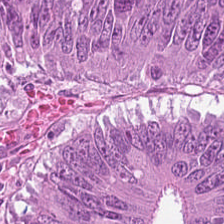Hematoxylin-and-eosin stained section; 224×224 pixel tile; 0.5 µm/px.
Q: What type of tissue is this?
A: It is tumor epithelium.
